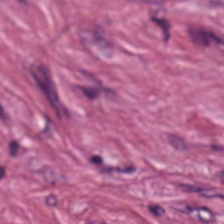Brightfield · H&E.
Q: What does this patch show?
A: It is cancer-associated stroma.
